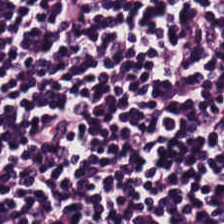Hematoxylin and eosin. Q: What is shown in this field?
A: This is lymphocyte aggregate.
